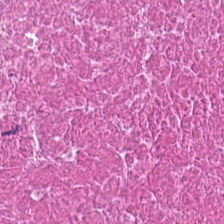Hematoxylin and eosin.
Impression — cellular debris.
